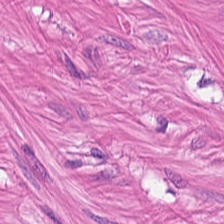224×224 px tile. FFPE. H&E.
Predominantly smooth muscle.
